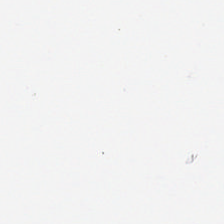{"content": "background"}
